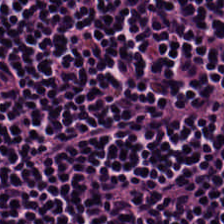0.5 µm/px · H&E stain.
Q: What type of tissue is this?
A: Lymphocytic infiltrate.
